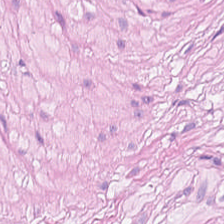H&E-stained tissue section; brightfield microscopy — The tissue class is smooth muscle.
